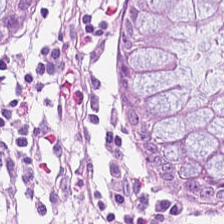Formalin-fixed paraffin-embedded section · H&E · whole-slide-image patch.
This patch shows non-neoplastic colon mucosa.
